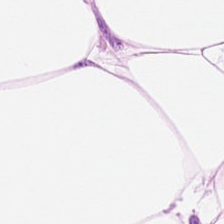H&E stain.
This patch shows adipose tissue.
